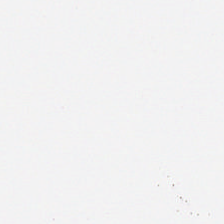Hematoxylin-and-eosin stained section — The field content is background (no tissue).
